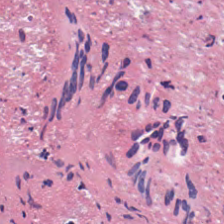Hematoxylin and eosin. Q: What is shown in this field?
A: It is debris.
